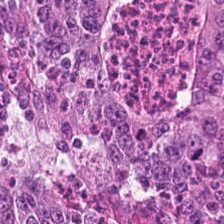Hematoxylin-and-eosin stained section. 0.5 microns per pixel — Impression → adenocarcinoma.
